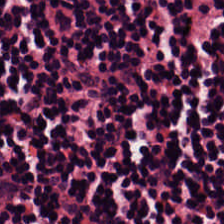20× equivalent magnification. H&E stain.
Q: Classify this patch.
A: Lymphocytic infiltrate.
